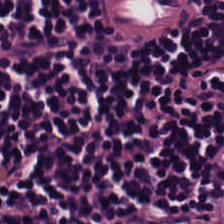H&E. WSI patch. 224×224 px patch. Tissue type = lymphocyte aggregate.
